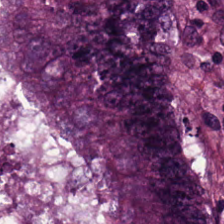Stain: H&E.
Tissue class: colorectal adenocarcinoma epithelium.
